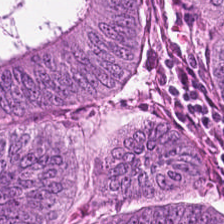0.5 µm per pixel · hematoxylin-and-eosin stained section · WSI patch.
The tissue here is colorectal adenocarcinoma.
